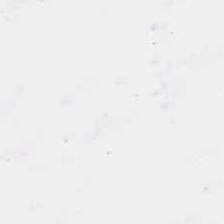FFPE; H&E stain.
Content: empty background.
